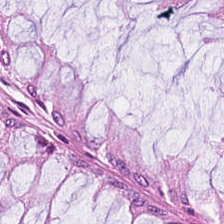{"tissue_type": "benign colonic mucosa"}
